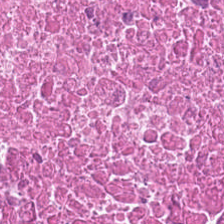H&E. Finding → cellular debris.
